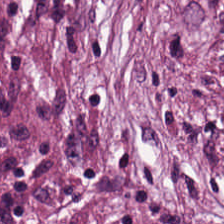Tissue class: cancer-associated stroma.
